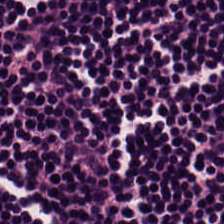Q: What type of tissue is this?
A: The field shows lymphocytic infiltrate.
